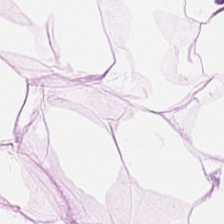Hematoxylin and eosin; 0.5 µm per pixel; formalin-fixed paraffin-embedded section — Classification: adipocytes.
